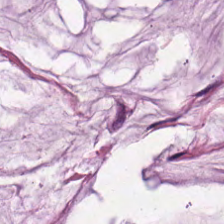FFPE · H&E-stained tissue section.
Classification = extracellular mucin.
